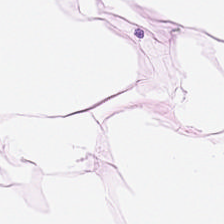Classification — adipose.
